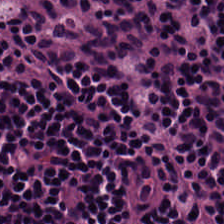H&E stain — The tissue here is lymphocyte aggregate.
